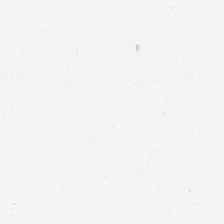Stain: H&E-stained tissue section.
Content: empty background.
